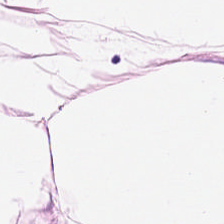Hematoxylin-and-eosin section: fat tissue.
